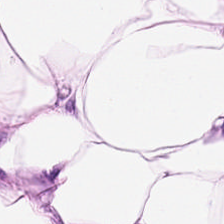This field is adipose tissue.
